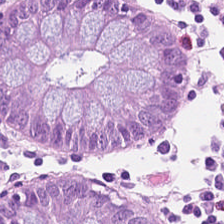This patch shows benign colonic mucosa.
